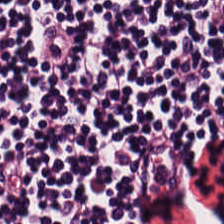Hematoxylin and eosin — Lymphocytes.
